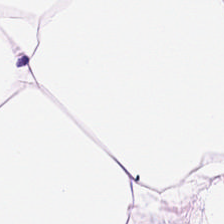Hematoxylin-and-eosin stained section — This field is adipocytes.
